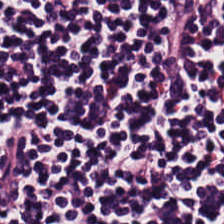H&E.
This field is lymphoid infiltrate.
